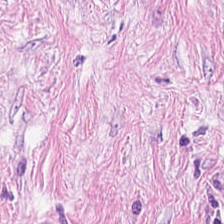Hematoxylin and eosin; FFPE tissue section — This patch shows tumor stroma.
